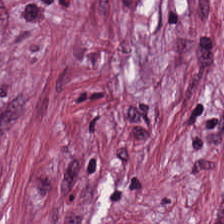{"tissue_type": "desmoplastic stroma"}
